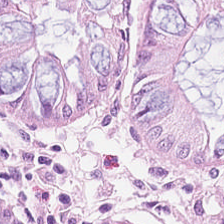H&E. FFPE tissue section — Q: What is the predominant tissue type?
A: This is normal colonic mucosa.
